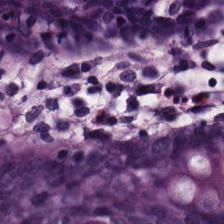H&E-stained tissue section. Q: What tissue type is shown here?
A: Benign colonic mucosa.
